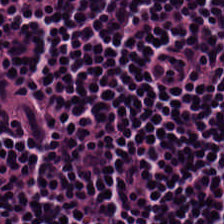Brightfield microscopy; H&E.
Impression — lymphocytes.
